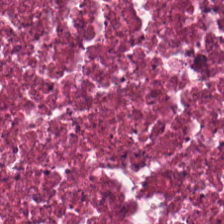Hematoxylin and eosin. {"tissue_type": "cellular debris"}
